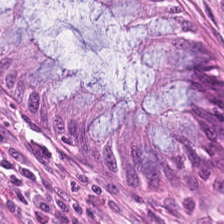Tissue class = benign colonic mucosa.
